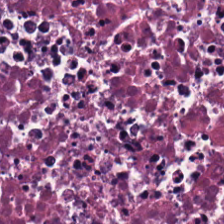20× equivalent magnification. Hematoxylin and eosin — {"tissue_type": "debris"}
